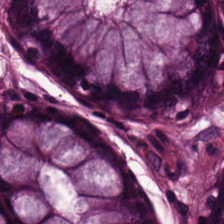Hematoxylin and eosin — Tissue class = normal colonic mucosa.
